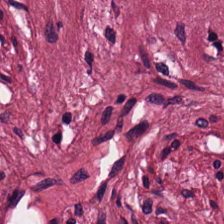Predominantly tumor stroma.
